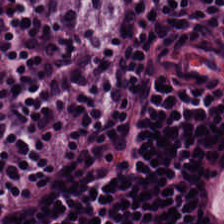Finding → lymphoid infiltrate.
